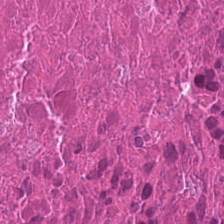Hematoxylin and eosin. Finding — cellular debris.
